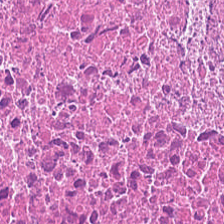H&E stain — Tissue class = necrotic debris.
